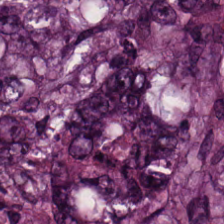Q: What type of tissue is this?
A: This is malignant epithelium.
